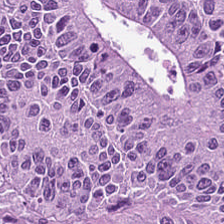H&E-stained tissue section.
This patch shows malignant epithelium.
